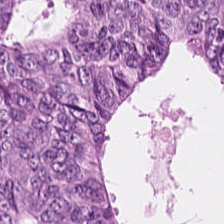Hematoxylin-and-eosin stained section; FFPE tissue section — This field is tumor epithelium.
